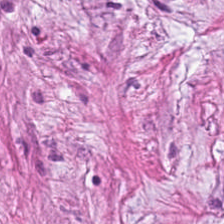Hematoxylin-and-eosin stained section · 0.5 µm per pixel.
Predominantly tumor stroma.
